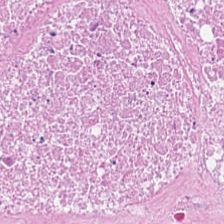FFPE · H&E stain · brightfield microscopy.
The classification is debris.
